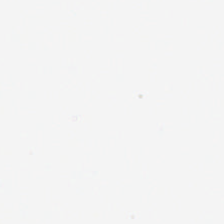Classification = background.
